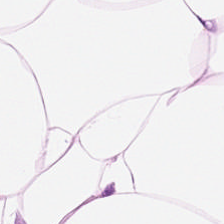H&E stain.
Adipocytes.
